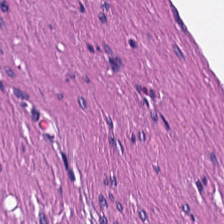Hematoxylin-and-eosin stained section.
This patch shows smooth-muscle tissue.
